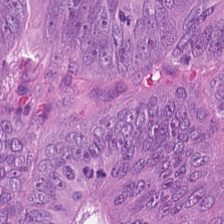Classification — adenocarcinoma.
